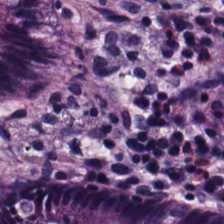Q: What is the predominant tissue type?
A: This is normal colon mucosa.
